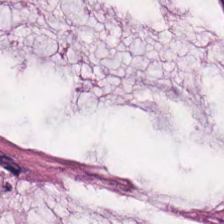0.5 microns per pixel. FFPE tissue section. Hematoxylin-and-eosin stained section — Predominantly extracellular mucin.
